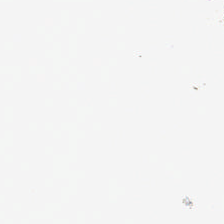H&E stain. FFPE. 224×224 px patch — This field is background (no tissue).
